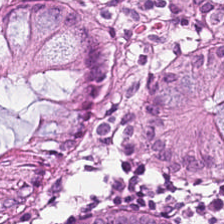Hematoxylin-and-eosin stained section.
Predominant tissue — normal colon mucosa.
